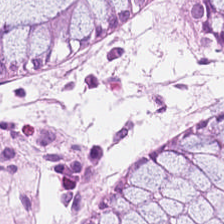0.5 microns per pixel; 224×224 px tile; hematoxylin-and-eosin stained section. The tissue here is benign colonic mucosa.
